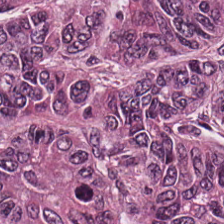Brightfield; hematoxylin-and-eosin stained section.
The classification is colorectal adenocarcinoma.
